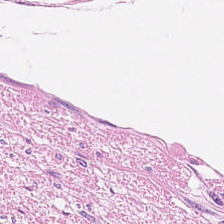Hematoxylin-and-eosin stained section. The tissue here is muscularis.
